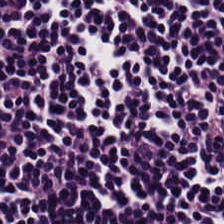Hematoxylin-and-eosin stained section — Lymphocyte aggregate.
